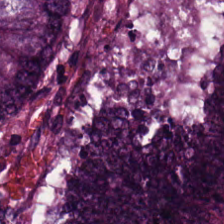The classification is colorectal adenocarcinoma epithelium.
